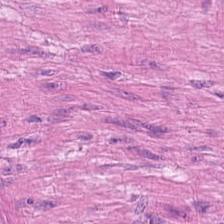Hematoxylin and eosin. Brightfield microscopy. 0.5 microns per pixel — Q: Classify this patch.
A: This is muscularis.
